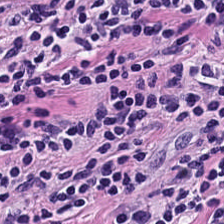Stain: H&E stain.
Acquisition: brightfield.
Classification: lymphocytic infiltrate.
